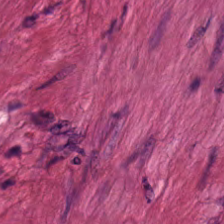The tissue type is muscularis.
